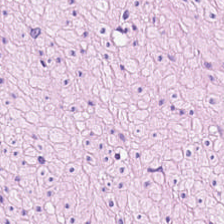H&E · brightfield.
Q: What is shown in this field?
A: The field shows muscularis.
